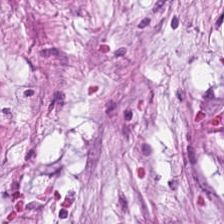{"tissue_type": "desmoplastic stroma"}
